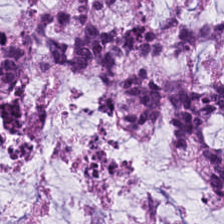Tissue type — extracellular mucin.
